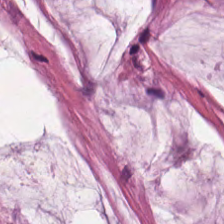Stain: H&E-stained tissue section.
Tissue: mucin.
